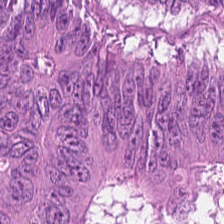H&E stain · 0.5 µm/px.
Showing colorectal adenocarcinoma.
